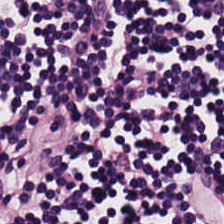Tissue type = lymphocytes.
